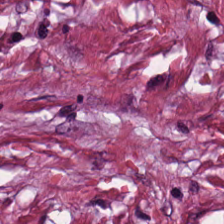H&E stain — Predominant tissue = tumor-associated stroma.
